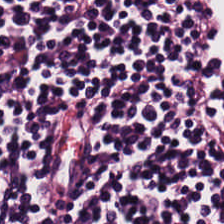Stain: H&E-stained tissue section.
Tissue: lymphocytic infiltrate.
